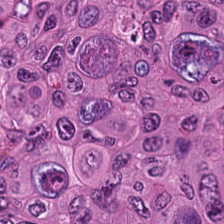The predominant tissue is tumor epithelium.
